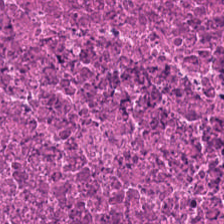Tissue class — cellular debris.
